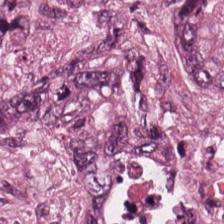Hematoxylin-and-eosin stained section · formalin-fixed paraffin-embedded section. {"tissue_type": "tumor epithelium"}
